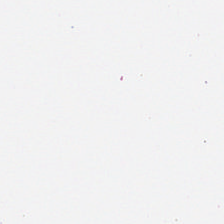224×224 px tile. Hematoxylin and eosin. Background — no tissue in this field.
